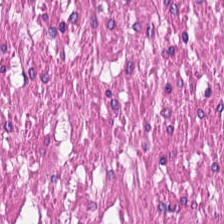Hematoxylin and eosin — This field is smooth-muscle tissue.
